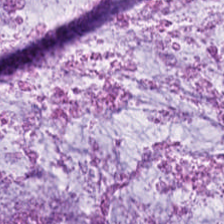H&E stain — Q: What is shown here?
A: Extracellular mucin.
